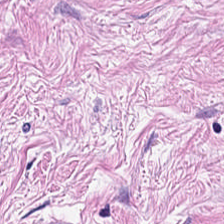H&E — tumor stroma.
